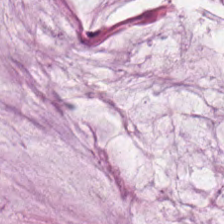Q: What does this patch show?
A: This is mucus.
